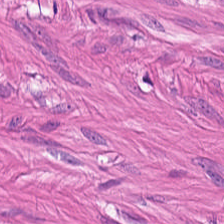The classification is smooth-muscle tissue.
